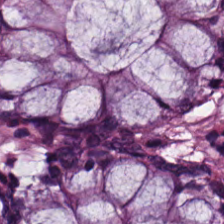H&E stain · 224×224 px patch.
Q: What type of tissue is this?
A: It is normal colon mucosa.
